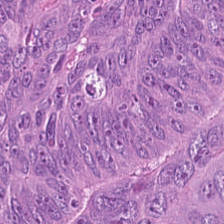H&E.
Colorectal adenocarcinoma.
